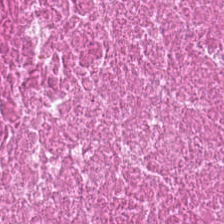Hematoxylin and eosin.
Predominant tissue: debris.
